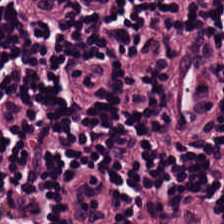H&E stain — Q: Classify this patch.
A: Lymphoid infiltrate.
